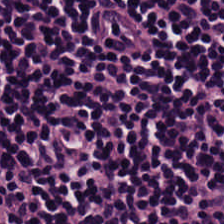H&E stain · 224×224 pixel tile — Showing lymphocytes.
